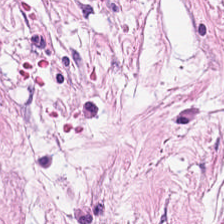H&E.
Q: What does this patch show?
A: Desmoplastic stroma.
